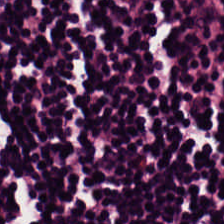Hematoxylin-and-eosin stained section. Lymphocytes.
